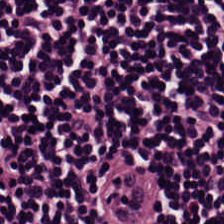H&E stain.
Predominantly lymphocytes.
